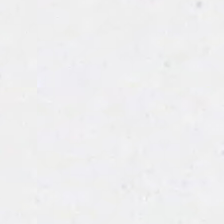H&E stain.
Empty field — empty background.
